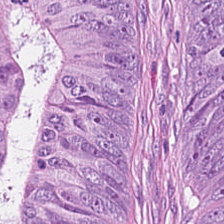Hematoxylin-and-eosin stained section — This field is adenocarcinoma.
